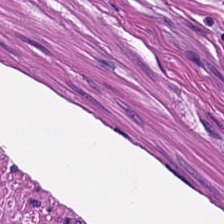Hematoxylin-and-eosin stained section — The tissue is smooth muscle.
